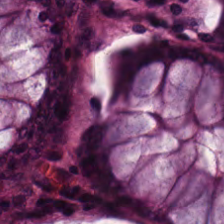H&E-stained tissue section — The tissue here is non-neoplastic colon mucosa.
